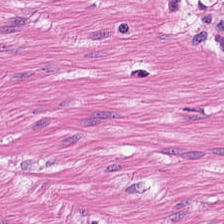Stain: H&E stain.
Preparation: formalin-fixed paraffin-embedded section.
Tissue class: smooth muscle.
